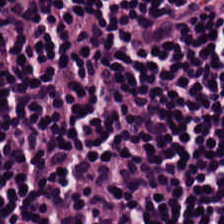Hematoxylin and eosin. Q: What is shown here?
A: The field shows lymphocytes.
